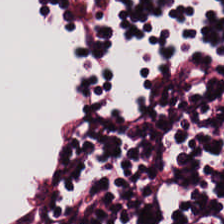Predominantly lymphocytic infiltrate.
